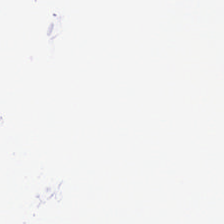WSI patch · 224×224 px tile · H&E.
This field is background (no tissue).
